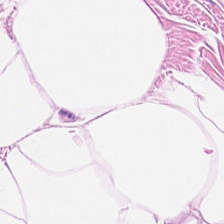Q: What does this patch show?
A: Adipocytes.
